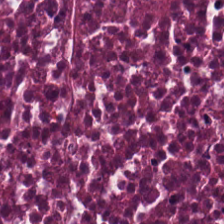Q: What is shown here?
A: This is necrotic debris.
